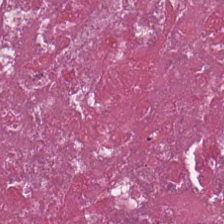0.5 microns per pixel · H&E — Tissue = cellular debris.
